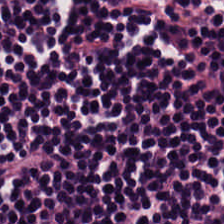Hematoxylin-and-eosin stained section.
Q: Identify the tissue.
A: This is lymphocyte aggregate.
